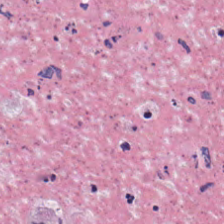Debris.
